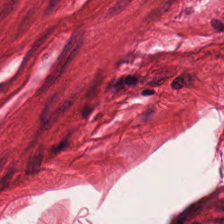Hematoxylin-and-eosin stained section. Q: Classify this patch.
A: This is smooth muscle.
